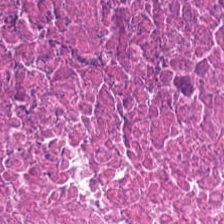0.5 µm per pixel. H&E — Showing necrotic debris.
